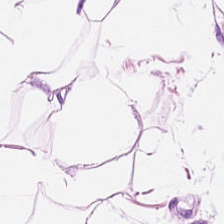H&E — Histology → adipose tissue.
